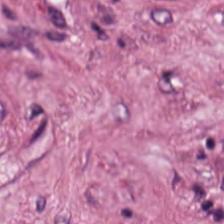Stain: H&E-stained tissue section.
Predominant tissue: desmoplastic stroma.
